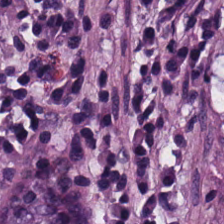Q: What tissue is shown?
A: This is normal colon mucosa.
